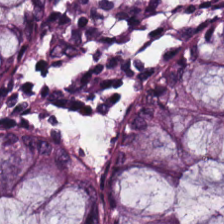Impression → normal colonic mucosa.
